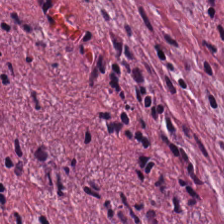Hematoxylin-and-eosin stained section · whole-slide-image patch — Predominant tissue = desmoplastic stroma.
